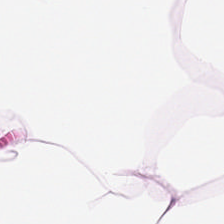H&E stain — Q: What tissue is shown?
A: This is adipose.
